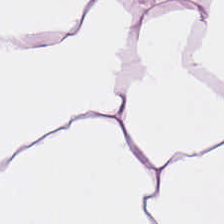0.5 µm/px. H&E — Q: What tissue is shown?
A: It is fat tissue.
